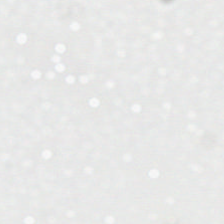224×224 px tile. Hematoxylin-and-eosin stained section — Impression — empty background.
